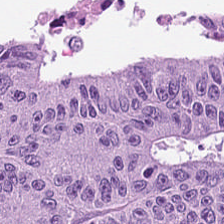The tissue class is adenocarcinoma.
